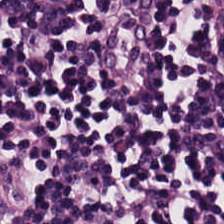Impression — lymphocytes.
